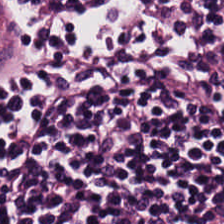Stain: hematoxylin-and-eosin stained section.
Tissue class: lymphoid infiltrate.
